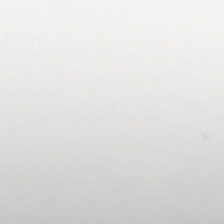This patch shows empty background.
